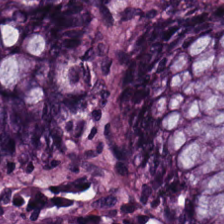Stain: hematoxylin and eosin.
Tissue type: benign colonic mucosa.
